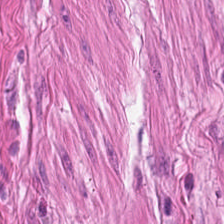Classification = smooth muscle.
